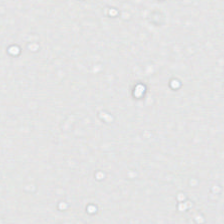H&E stain · 224×224 px patch. This field is background (no tissue).
